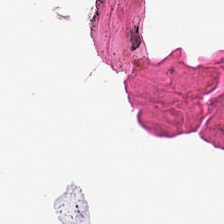H&E stain · FFPE tissue section · whole-slide-image patch — Empty field — background.
